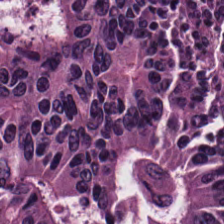Hematoxylin and eosin · 224×224 px patch — Histology → colorectal adenocarcinoma epithelium.
